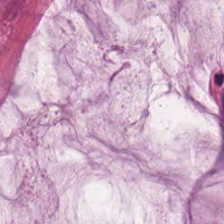Stain: H&E.
Classification: extracellular mucin.
